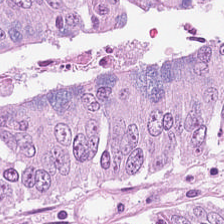H&E stain — Impression — malignant epithelium.
